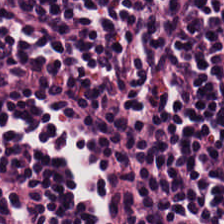H&E.
The predominant tissue is lymphocyte aggregate.
